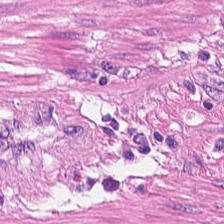H&E-stained section; the field shows smooth-muscle tissue.
